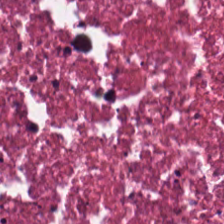Classification: necrotic debris.
